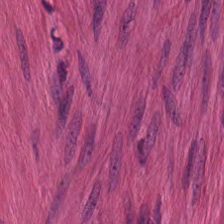H&E-stained tissue section; formalin-fixed paraffin-embedded section; 0.5 microns per pixel.
This field is smooth-muscle tissue.
